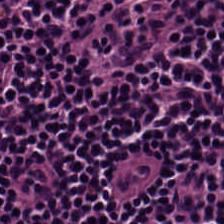224×224 px tile · formalin-fixed paraffin-embedded section · H&E stain — The predominant tissue is lymphoid infiltrate.
